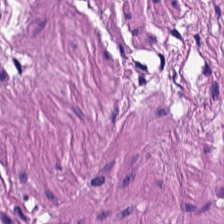H&E stain — The predominant tissue is smooth muscle.
